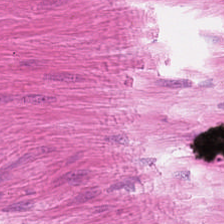H&E-stained tissue section. The predominant tissue is smooth muscle.
